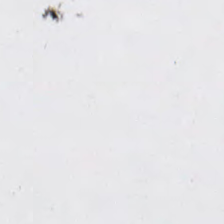Hematoxylin and eosin.
Field content: empty background.
